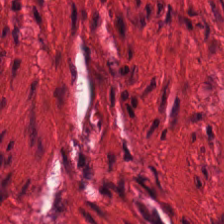Muscularis.
